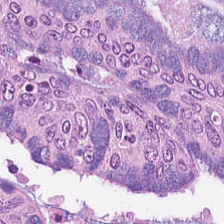WSI patch; H&E stain.
{"tissue_type": "adenocarcinoma"}
